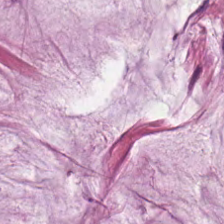Hematoxylin and eosin. {"tissue_type": "extracellular mucin"}
